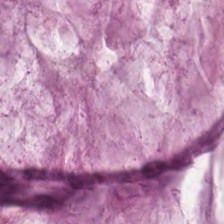The predominant tissue is extracellular mucin.
